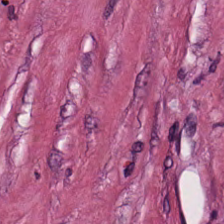0.5 µm/px · hematoxylin-and-eosin stained section. {"tissue_type": "cancer-associated stroma"}
